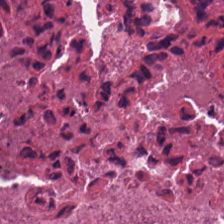H&E-stained tissue section; 0.5 microns per pixel — Debris.
